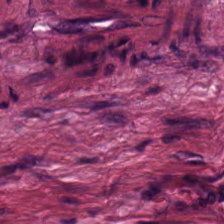Brightfield microscopy; H&E-stained tissue section; 224×224 pixel tile.
Q: What type of tissue is this?
A: The field shows tumor stroma.
